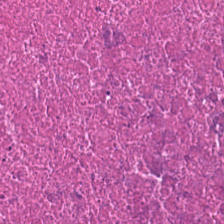H&E-stained tissue section showing debris.
